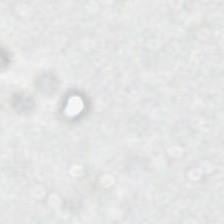H&E · FFPE tissue section — This patch shows background.
